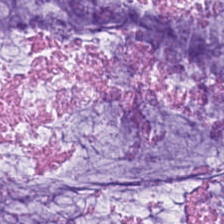The tissue here is extracellular mucin.
